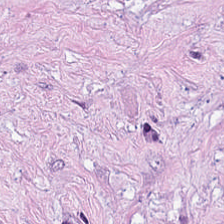H&E — tumor stroma.
